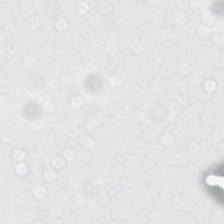Hematoxylin and eosin; 224×224 pixel tile — Background — no tissue in this field.
